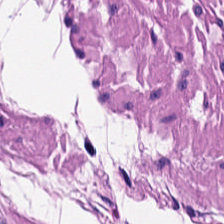H&E-stained tissue section. Q: Identify the tissue.
A: This is muscularis.
